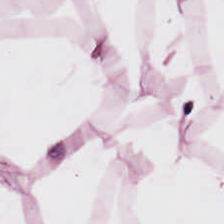This field is adipose.
